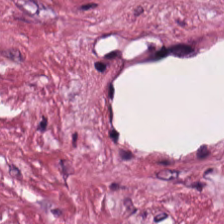Stain: hematoxylin and eosin.
Tissue class: cancer-associated stroma.
